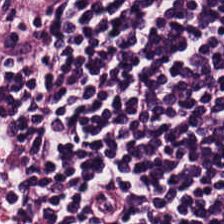H&E stain. Histology → lymphocytic infiltrate.
